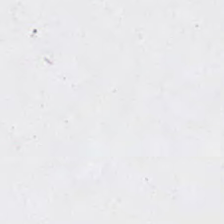H&E stain.
Finding → background (no tissue).
